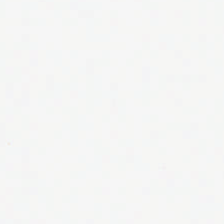FFPE tissue section. H&E-stained tissue section — Q: What is shown here?
A: This is background (no tissue).
